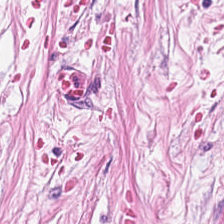H&E; 0.5 microns per pixel.
Finding — tumor stroma.
